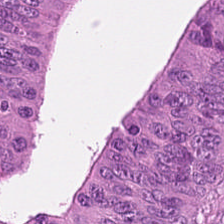Whole-slide-image patch; hematoxylin-and-eosin stained section; 224×224 pixel tile.
Tissue class — adenocarcinoma.
